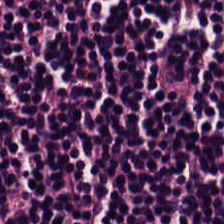FFPE · H&E stain · 0.5 microns per pixel.
Q: What type of tissue is this?
A: This is lymphocyte aggregate.
